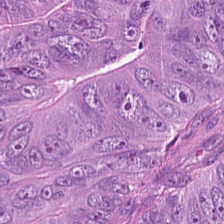Stain: hematoxylin and eosin.
Tissue: adenocarcinoma.
